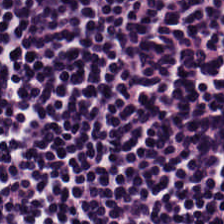Q: What is shown in this field?
A: It is lymphoid infiltrate.
